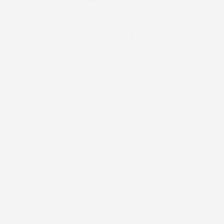H&E-stained tissue section — Content: empty background.
